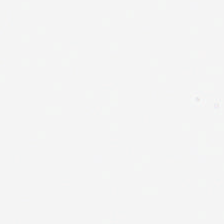H&E. Background (no tissue).
